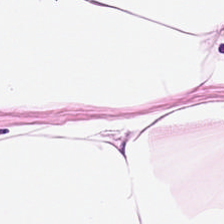H&E stain. Adipose tissue.
